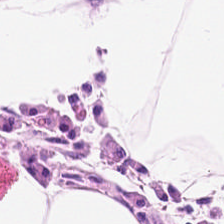{"tissue_type": "adipose tissue"}
